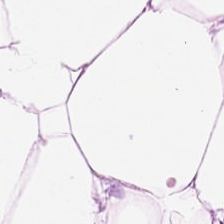Hematoxylin-and-eosin stained section. 224×224 px tile. The tissue here is adipose.
